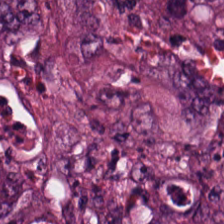Q: What does this patch show?
A: This is malignant epithelium.
